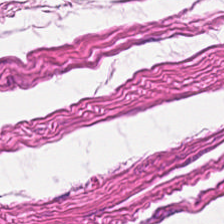Hematoxylin-and-eosin stained section. The predominant tissue is smooth muscle.
